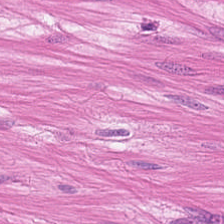0.5 µm/px · FFPE · hematoxylin-and-eosin stained section. {"tissue_type": "smooth muscle"}
